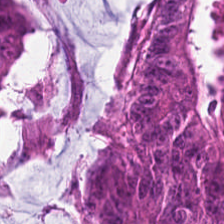Hematoxylin-and-eosin stained section; 0.5 µm per pixel.
Q: What is shown here?
A: The field shows malignant epithelium.
